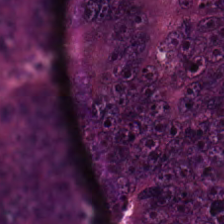Brightfield microscopy · hematoxylin-and-eosin stained section. Q: What tissue is shown?
A: This is colorectal adenocarcinoma.
